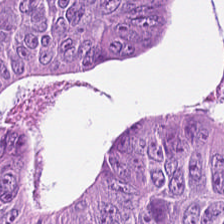Hematoxylin-and-eosin stained section.
Histology → tumor epithelium.
